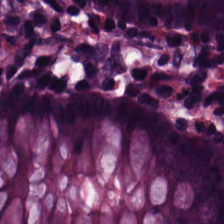Hematoxylin and eosin — Tissue type = benign colonic mucosa.
